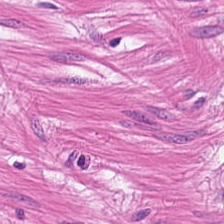H&E stain.
Tissue class — muscularis.
